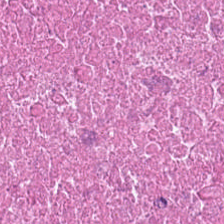H&E stain.
Histology — necrotic debris.
